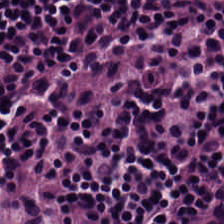Finding → lymphocyte aggregate.
